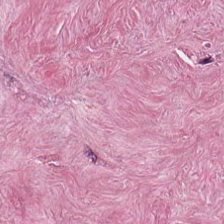Hematoxylin-and-eosin stained section.
Desmoplastic stroma.
